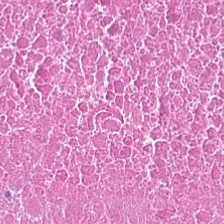H&E.
This patch shows debris.
